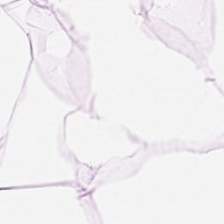H&E-stained tissue section; 224×224 pixel tile; FFPE tissue section — The predominant tissue is adipose.
